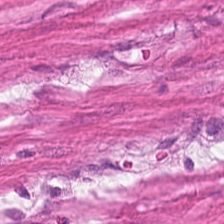Brightfield microscopy; hematoxylin-and-eosin stained section.
{"tissue_type": "smooth-muscle tissue"}
